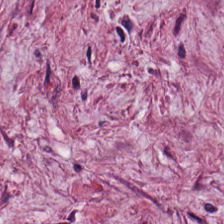Stain: H&E.
Preparation: FFPE tissue section.
Tissue: tumor-associated stroma.
